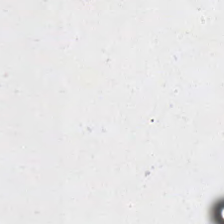Hematoxylin-and-eosin stained section.
Q: What is shown in this field?
A: This is background (no tissue).
